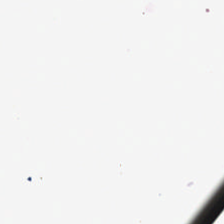Brightfield. H&E. 224×224 pixel tile. No tissue present; background only.
